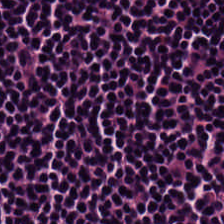H&E-stained tissue section — Showing lymphocytic infiltrate.
